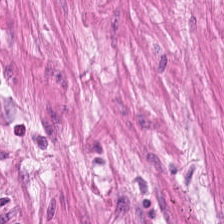H&E-stained tissue section — Impression → smooth muscle.
